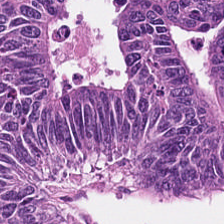H&E stain. Brightfield microscopy.
Colorectal adenocarcinoma.
